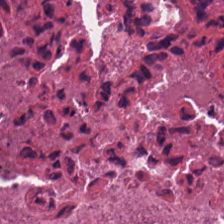H&E-stained tissue section · brightfield.
The predominant tissue is debris.
